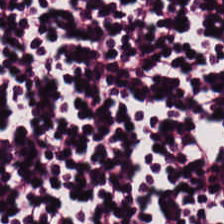H&E.
Histology → lymphocyte aggregate.
